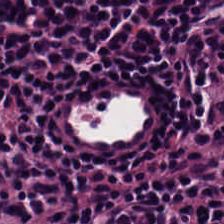This patch shows lymphocytes.
